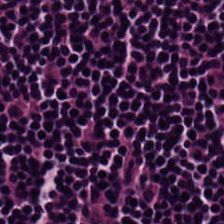H&E-stained tissue section. 0.5 microns per pixel.
The tissue is lymphoid infiltrate.
